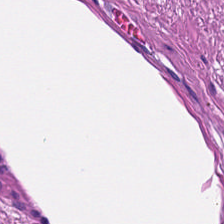224×224 px patch. Hematoxylin-and-eosin stained section. Predominantly muscularis.
